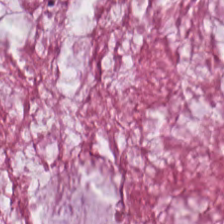Hematoxylin-and-eosin stained section; brightfield microscopy. Tissue — mucus.
